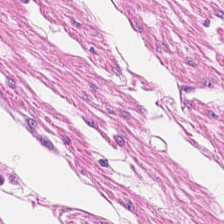Tissue class = muscularis.
